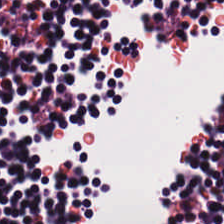FFPE tissue section. Hematoxylin and eosin.
The predominant tissue is lymphocytic infiltrate.
